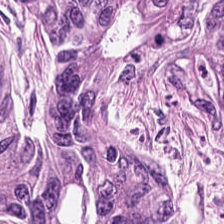H&E · FFPE.
Impression — tumor epithelium.
